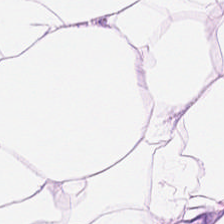Formalin-fixed paraffin-embedded section. Hematoxylin-and-eosin stained section. Brightfield.
Tissue type — adipose tissue.
